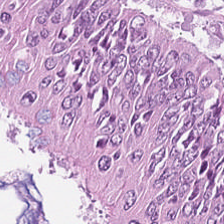Stain: hematoxylin and eosin.
Classification: colorectal adenocarcinoma.
